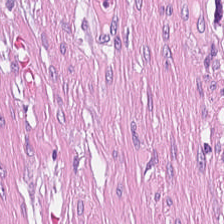Q: What type of tissue is this?
A: It is cancer-associated stroma.
